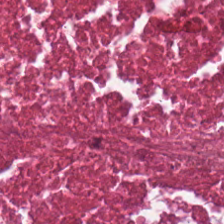Hematoxylin and eosin. The tissue here is necrotic debris.
